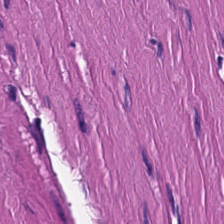H&E stain; 0.5 microns per pixel; 224×224 pixel tile.
Q: Classify this patch.
A: Smooth muscle.
